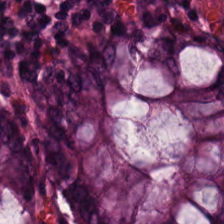H&E stain · 20× equivalent magnification. This patch shows benign colonic mucosa.
